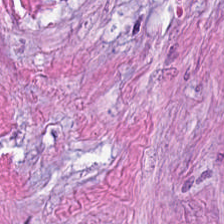FFPE · H&E.
This field is cancer-associated stroma.
